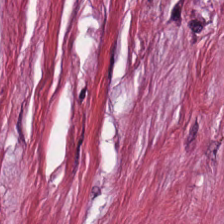Stain: hematoxylin-and-eosin stained section.
Tissue class: desmoplastic stroma.
